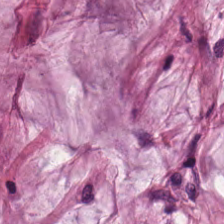H&E; 224×224 pixel tile; 0.5 microns per pixel — Finding → mucus.
